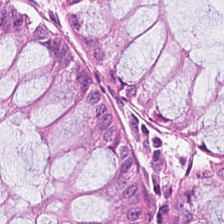H&E-stained tissue section. Formalin-fixed paraffin-embedded section — The predominant tissue is normal colon mucosa.
